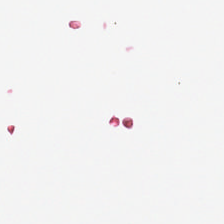Hematoxylin and eosin. Whole-slide-image patch. {"content": "empty background"}
